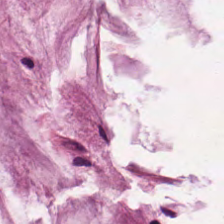Hematoxylin-and-eosin stained section · whole-slide-image patch · 224×224 pixel tile — Extracellular mucin.
